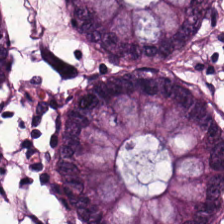H&E stain. This patch shows non-neoplastic colon mucosa.
